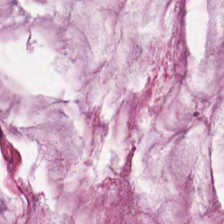H&E-stained tissue section. WSI patch. This field is mucin.
